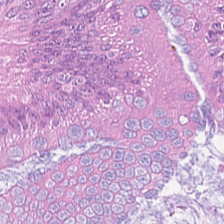Tissue class = tumor epithelium.
